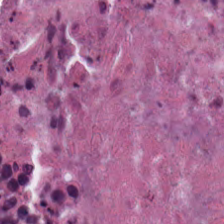Stain: H&E.
Resolution: 0.5 microns per pixel.
Tissue type: debris.
